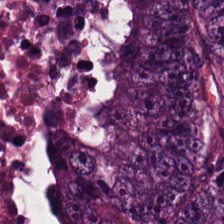Stain: H&E stain.
Predominant tissue: adenocarcinoma.
